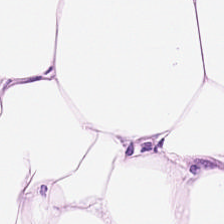0.5 microns per pixel · H&E · brightfield.
Predominant tissue — adipocytes.
